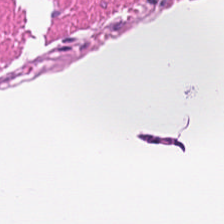Hematoxylin and eosin.
Tissue class = muscularis.
